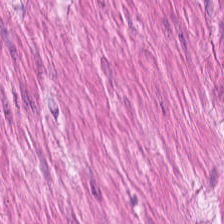This field is muscularis.
